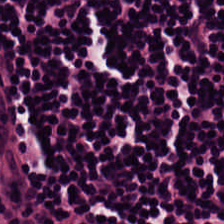H&E stain. {"tissue_type": "lymphocytic infiltrate"}
